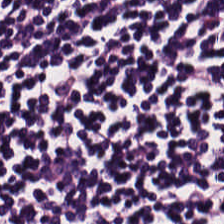The tissue type is lymphocytic infiltrate.
